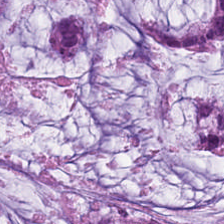This field is extracellular mucin.
